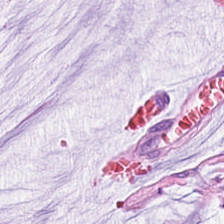FFPE tissue section · brightfield microscopy · hematoxylin and eosin — Showing mucus.
